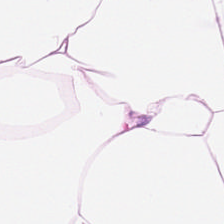0.5 µm/px; 224×224 pixel tile; hematoxylin and eosin. Impression → adipose tissue.
